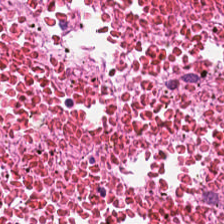H&E stain. The tissue type is cellular debris.
